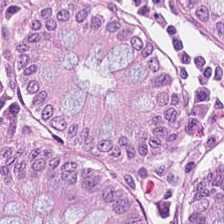H&E stain · 224×224 pixel tile. Tissue = benign colonic mucosa.
